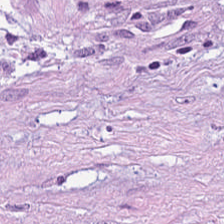Hematoxylin-and-eosin stained section. The classification is tumor-associated stroma.
